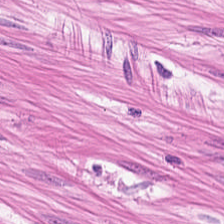Whole-slide-image patch; H&E stain; 0.5 µm/px. Tissue class: smooth-muscle tissue.
